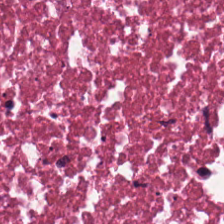Histology — debris.
